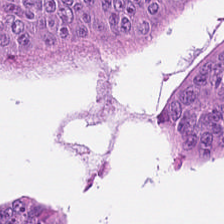Q: What is the predominant tissue type?
A: It is colorectal adenocarcinoma.
